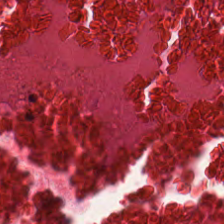H&E-stained tissue section showing cellular debris.
